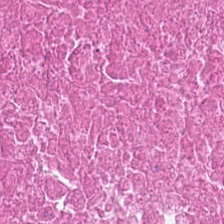Hematoxylin and eosin. Formalin-fixed paraffin-embedded section. {"tissue_type": "necrotic debris"}
